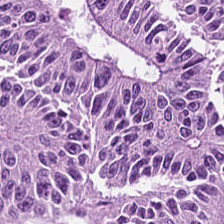H&E.
Showing colorectal adenocarcinoma epithelium.
